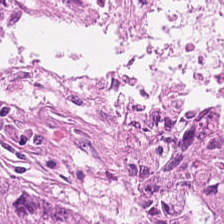H&E-stained tissue section — Q: What does this patch show?
A: The field shows tumor epithelium.
